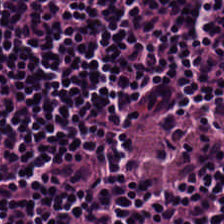H&E stain.
This patch shows lymphocytes.
